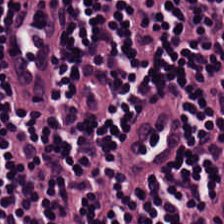Brightfield · FFPE · H&E. Q: What is shown here?
A: It is lymphoid infiltrate.
